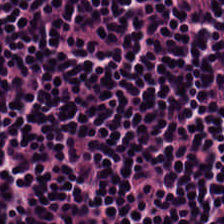Brightfield microscopy · formalin-fixed paraffin-embedded section · H&E-stained tissue section.
{"tissue_type": "lymphoid infiltrate"}
